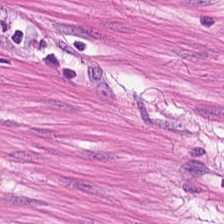H&E-stained tissue section.
Q: What tissue type is shown here?
A: The field shows smooth muscle.
